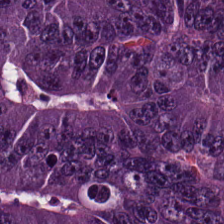H&E-stained tissue section. Q: What is shown here?
A: Colorectal adenocarcinoma epithelium.
